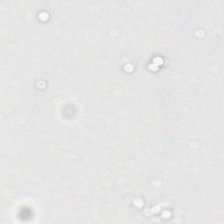224×224 pixel tile; hematoxylin and eosin. Impression → background.
